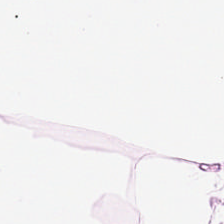0.5 µm/px · H&E stain · 224×224 pixel tile. Tissue type: adipose.
